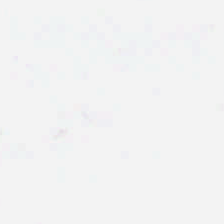H&E-stained tissue section. Impression → background (no tissue).
